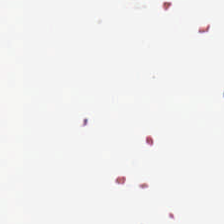Hematoxylin-and-eosin stained section.
This patch shows no tissue.
